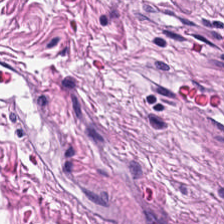Hematoxylin and eosin — Tissue type = muscularis.
